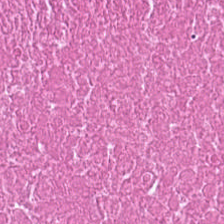Hematoxylin and eosin; formalin-fixed paraffin-embedded section; whole-slide-image patch. Classification — necrotic debris.
